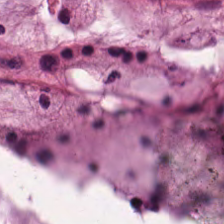FFPE · hematoxylin-and-eosin stained section · 0.5 microns per pixel — Q: What tissue is shown?
A: Extracellular mucin.
